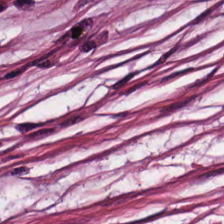Showing tumor stroma.
